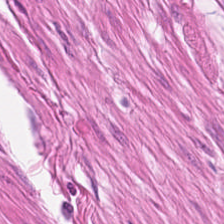H&E. Whole-slide-image patch.
The tissue here is muscularis.
